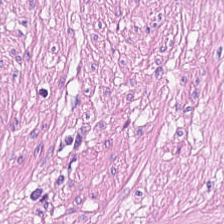H&E · 0.5 µm/px.
Predominantly smooth-muscle tissue.
